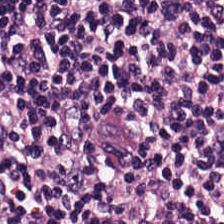Hematoxylin-and-eosin stained section.
Classification — lymphocyte aggregate.
